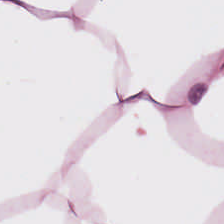H&E — adipose.
